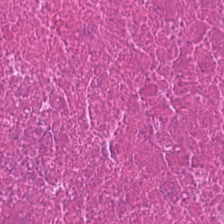H&E stain.
Showing necrotic debris.
